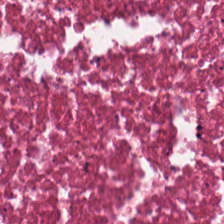Hematoxylin-and-eosin stained section. This field is cellular debris.
